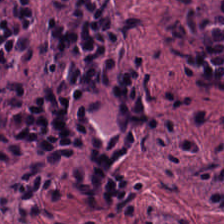Showing lymphocytic infiltrate.
